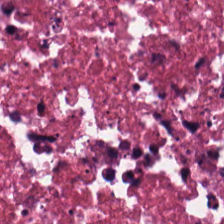Hematoxylin-and-eosin stained section. The tissue here is cellular debris.
